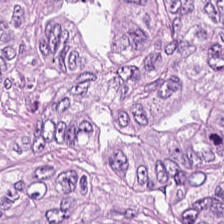H&E stain.
The tissue here is colorectal adenocarcinoma.
